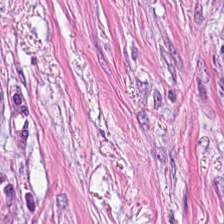H&E-stained tissue section · 0.5 microns per pixel.
This patch shows tumor stroma.
